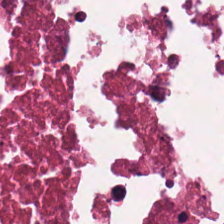H&E-stained tissue section · WSI patch.
Tissue type — cellular debris.
